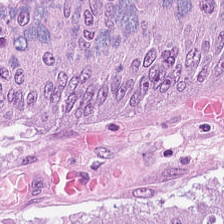Hematoxylin-and-eosin stained section — Histology → tumor epithelium.
